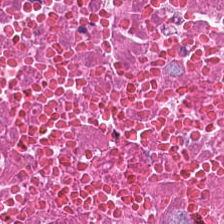H&E — Predominant tissue = cellular debris.
